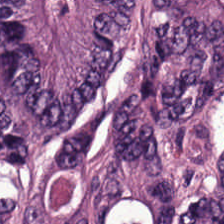H&E. The tissue type is tumor epithelium.
